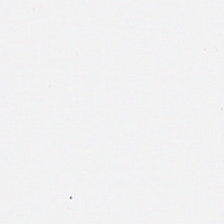Q: Classify this patch.
A: This is background.
